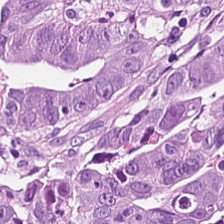Q: What does this patch show?
A: This is adenocarcinoma.
